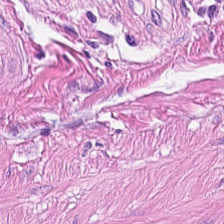0.5 µm/px. Hematoxylin-and-eosin stained section. FFPE tissue section — Q: What is shown in this field?
A: The field shows smooth-muscle tissue.
